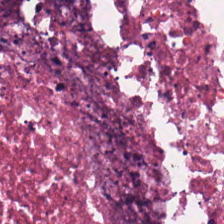Hematoxylin-and-eosin stained section · whole-slide-image patch.
Tissue type = necrotic debris.
